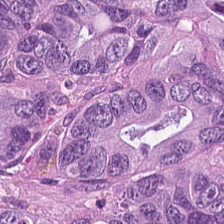H&E-stained tissue section — Tissue: tumor epithelium.
